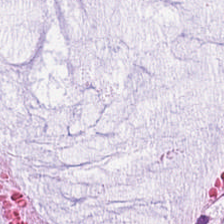224×224 pixel tile; 0.5 microns per pixel; H&E-stained tissue section. Q: What is shown here?
A: This is mucus.
